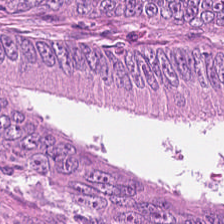Hematoxylin-and-eosin stained section; brightfield; 0.5 microns per pixel — The tissue class is malignant epithelium.
